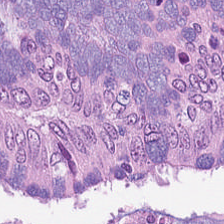Hematoxylin-and-eosin stained section.
The classification is colorectal adenocarcinoma.
